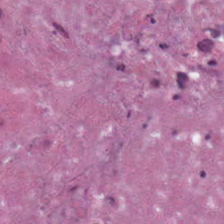Finding → debris.
